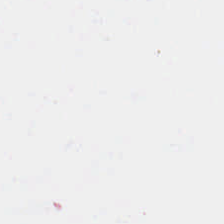H&E-stained tissue section · WSI patch — Content = background (no tissue).
